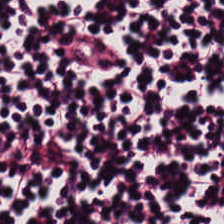Stain: H&E.
Tissue class: lymphoid infiltrate.
